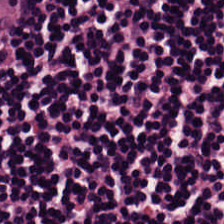Stain: H&E-stained tissue section.
Tile size: 224×224 px patch.
Predominant tissue: lymphocytes.
